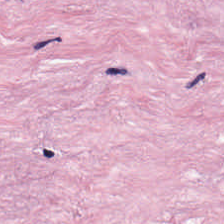20× equivalent magnification; hematoxylin and eosin; 224×224 px patch. This field is tumor stroma.
